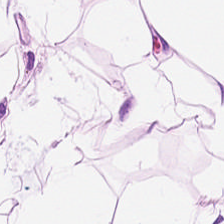{"tissue_type": "adipose"}
